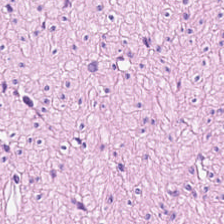H&E stain.
This field is muscularis.
